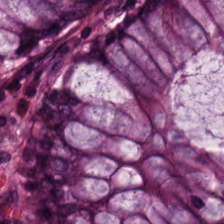H&E stain.
Classification: non-neoplastic colon mucosa.
